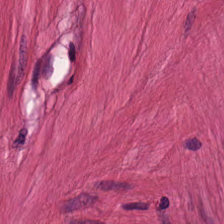WSI patch. H&E stain — Q: What is shown in this field?
A: This is smooth-muscle tissue.
